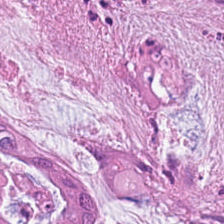Stain: H&E stain.
Acquisition: WSI patch.
Predominant tissue: extracellular mucin.
